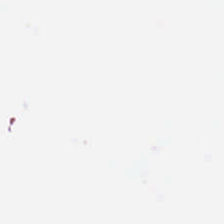Finding — empty background.
